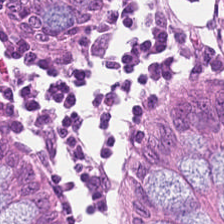Q: What does this patch show?
A: Normal colon mucosa.
